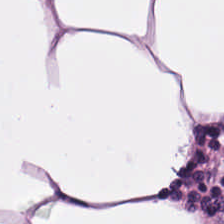Whole-slide-image patch; hematoxylin and eosin.
Q: What tissue type is shown here?
A: It is adipocytes.
